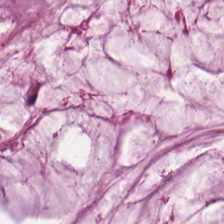Finding — extracellular mucin.
